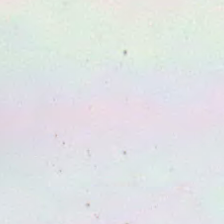H&E. Background — no tissue in this field.
